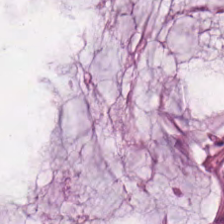The predominant tissue is mucus.
